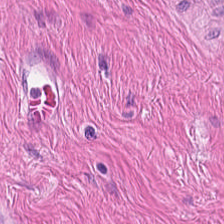H&E stain. This field is smooth-muscle tissue.
